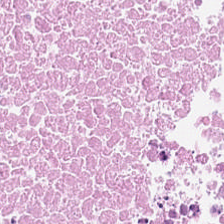Hematoxylin-and-eosin stained section.
The predominant tissue is necrotic debris.
